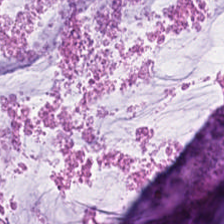Whole-slide-image patch · H&E-stained tissue section.
Q: Classify this patch.
A: The field shows extracellular mucin.
